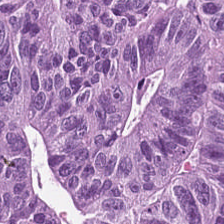The predominant tissue is tumor epithelium.
